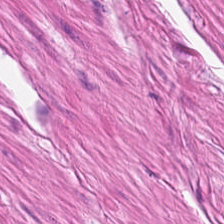H&E stain — The tissue is smooth muscle.
